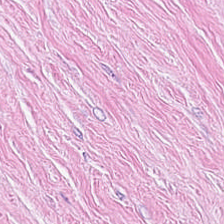H&E — Tissue = tumor stroma.
